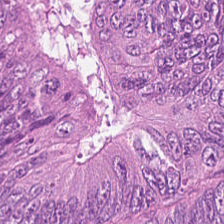Hematoxylin and eosin; 0.5 µm per pixel. Adenocarcinoma.
